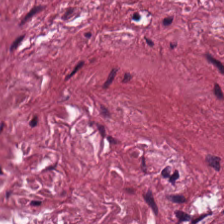0.5 microns per pixel. H&E-stained tissue section. Whole-slide-image patch.
Tissue — cancer-associated stroma.
